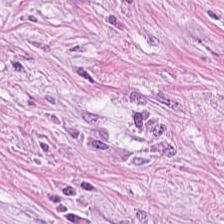FFPE tissue section · hematoxylin and eosin — Tissue = tumor-associated stroma.
